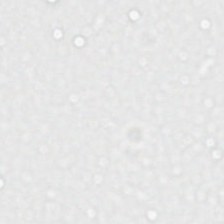H&E · 224×224 pixel tile — This patch shows no tissue.
